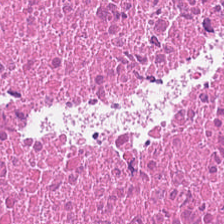224×224 pixel tile. Hematoxylin-and-eosin stained section — Tissue type = debris.
